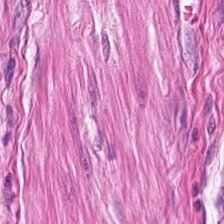H&E; 224×224 px tile.
Q: What is shown here?
A: Muscularis.
